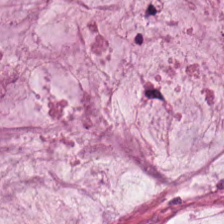Predominantly mucus.
